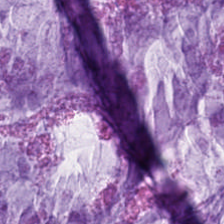Stain: hematoxylin-and-eosin stained section.
Predominant tissue: mucin.
